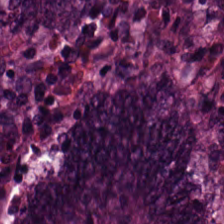Hematoxylin-and-eosin section: tumor epithelium.
